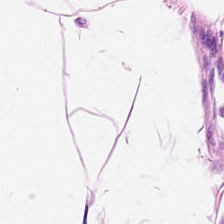H&E-stained tissue section — Adipose tissue.
